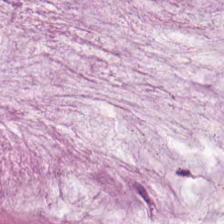Q: What is shown in this field?
A: Mucus.
